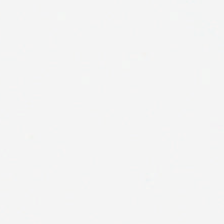Hematoxylin-and-eosin stained section — Finding → background (no tissue).
